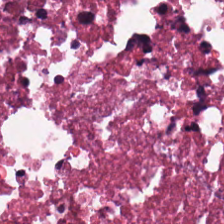Stain: H&E.
Predominant tissue: necrotic debris.
